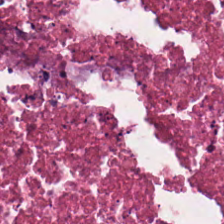Impression — necrotic debris.
